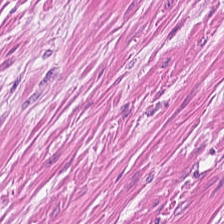Brightfield. H&E.
Tissue class: muscularis.
